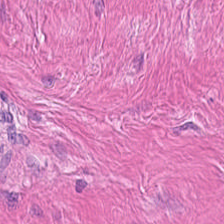Hematoxylin and eosin.
This patch shows smooth-muscle tissue.
